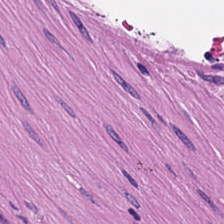FFPE · 224×224 px tile · H&E-stained tissue section. This field is muscularis.
